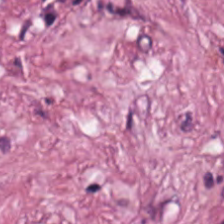Brightfield microscopy · H&E stain.
Q: What does this patch show?
A: Tumor-associated stroma.
